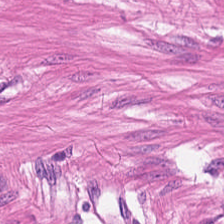Hematoxylin-and-eosin section: muscularis.
